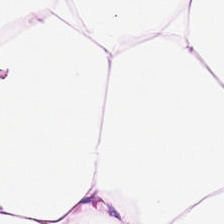Tissue type = adipose.
